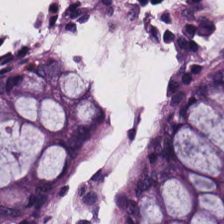Brightfield microscopy. H&E stain. The predominant tissue is benign colonic mucosa.
